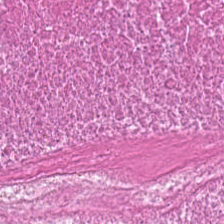Hematoxylin-and-eosin stained section · brightfield — Predominantly necrotic debris.
